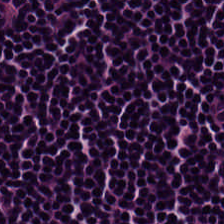Hematoxylin and eosin — Histology — lymphoid infiltrate.
